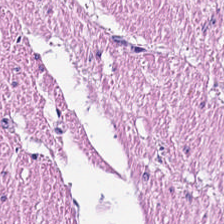224×224 px patch. H&E-stained tissue section. Predominantly muscularis.
